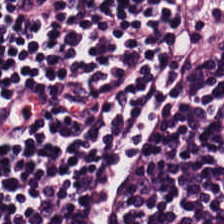Tissue type: lymphocyte aggregate.
